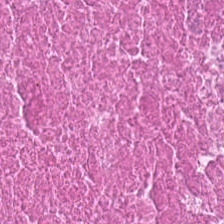224×224 px patch · FFPE · H&E.
This patch shows cellular debris.
